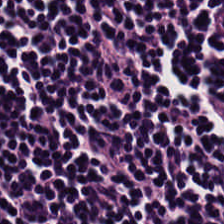FFPE. H&E — Histology — lymphocytic infiltrate.
